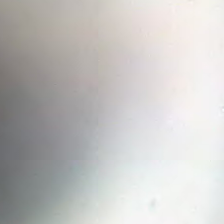Hematoxylin and eosin — No tissue present; background only.
